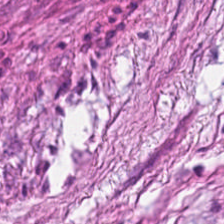Hematoxylin-and-eosin stained section — This patch shows tumor-associated stroma.
